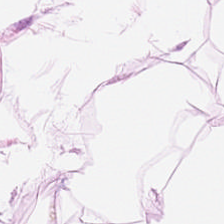Stain: hematoxylin and eosin.
Acquisition: whole-slide-image patch.
Tissue class: adipocytes.
